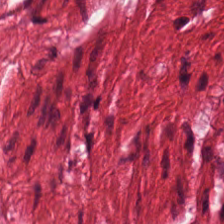Histology — smooth muscle.
